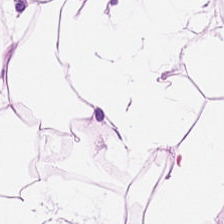Stain: H&E-stained tissue section.
Tissue type: fat tissue.
